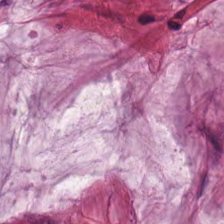Hematoxylin-and-eosin stained section; WSI patch; FFPE. This patch shows extracellular mucin.
